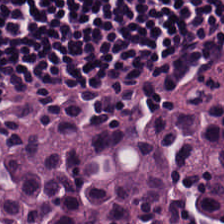H&E-stained tissue section · FFPE · 224×224 px patch — Finding — lymphocytes.
